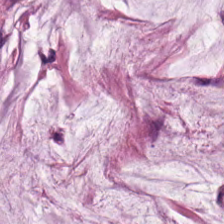0.5 µm per pixel. H&E stain. FFPE tissue section. Mucus.
